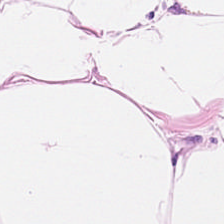The classification is adipose.
